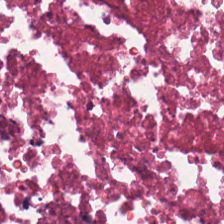Hematoxylin-and-eosin stained section; 0.5 µm per pixel.
Q: What is shown here?
A: The field shows necrotic debris.
